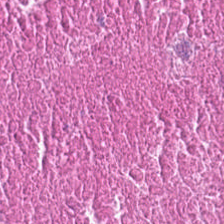Hematoxylin and eosin. 224×224 px tile. 20× equivalent magnification. Q: What is shown here?
A: This is cellular debris.
